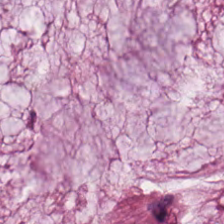0.5 µm per pixel; H&E-stained tissue section — This field is mucus.
